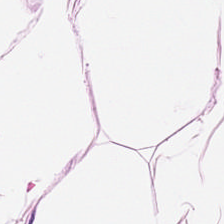H&E-stained tissue section — Q: What does this patch show?
A: It is fat tissue.
